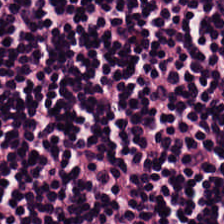Impression — lymphocytic infiltrate.
